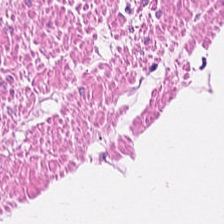H&E stain · FFPE tissue section. Q: Identify the tissue.
A: It is smooth-muscle tissue.
